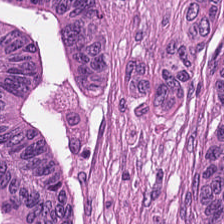H&E patch showing malignant epithelium.
